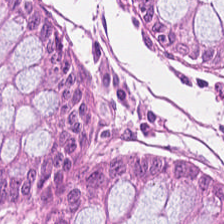Hematoxylin and eosin; 224×224 pixel tile. Benign colonic mucosa.
